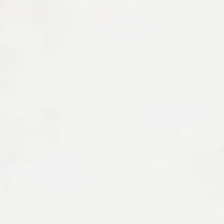FFPE tissue section. H&E stain. Background — no tissue in this field.
